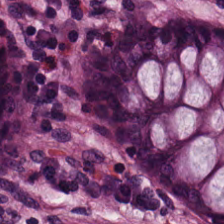Hematoxylin and eosin.
This field is benign colonic mucosa.
